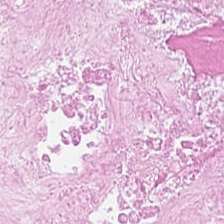Stain: hematoxylin and eosin.
Classification: cellular debris.
